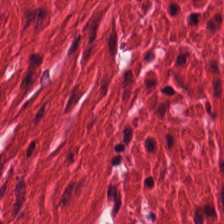Hematoxylin and eosin.
Q: What does this patch show?
A: Smooth muscle.
